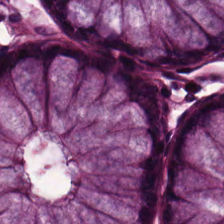Whole-slide-image patch. 0.5 microns per pixel. H&E-stained tissue section. Normal colonic mucosa.
